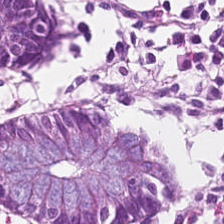Whole-slide-image patch. H&E-stained tissue section.
Classification — benign colonic mucosa.
